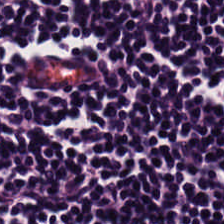FFPE · 0.5 µm/px · H&E stain.
Predominant tissue: lymphocyte aggregate.
